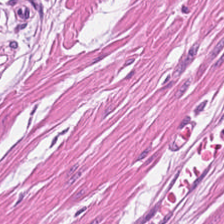H&E stain. The predominant tissue is smooth muscle.
